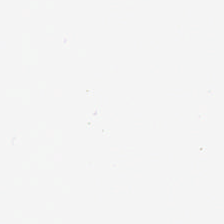Background — no tissue in this field.
